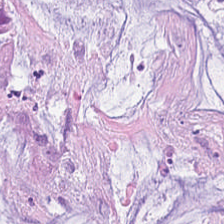Hematoxylin and eosin · 224×224 px tile — Q: What does this patch show?
A: Mucin.
